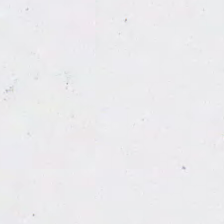Stain: hematoxylin and eosin.
Resolution: 0.5 microns per pixel.
Field content: background (no tissue).
